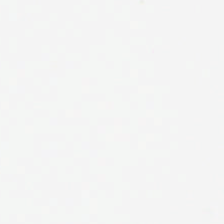Content = background (no tissue).
